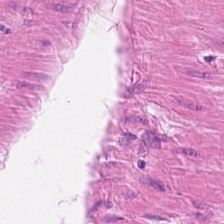The tissue class is smooth muscle.
